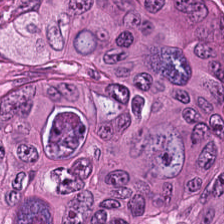Stain: H&E-stained tissue section.
Preparation: FFPE tissue section.
Classification: tumor epithelium.
